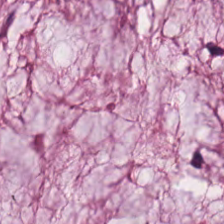The tissue type is mucin.
